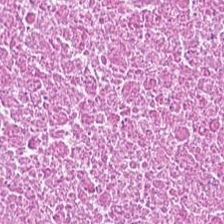H&E patch showing cellular debris.
